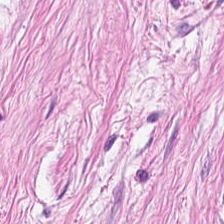Stain: hematoxylin and eosin.
Tissue type: desmoplastic stroma.
